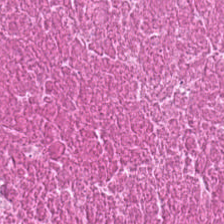H&E-stained tissue section — Impression → cellular debris.
